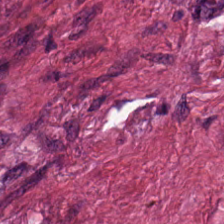Hematoxylin and eosin; 20× equivalent magnification; FFPE tissue section.
Showing tumor-associated stroma.
